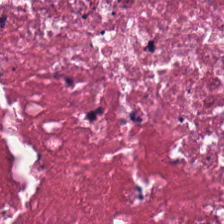Hematoxylin-and-eosin stained section. Tissue class: cellular debris.
